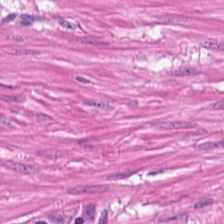This patch shows muscularis.
